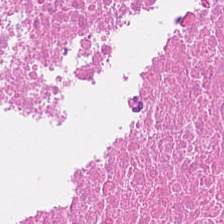Q: What is shown here?
A: It is necrotic debris.
